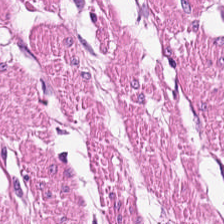Hematoxylin and eosin — This field is smooth-muscle tissue.
